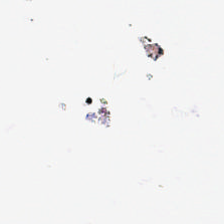Brightfield. H&E-stained tissue section. Impression — background.
